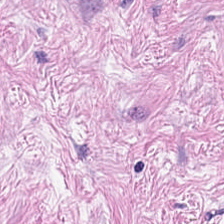Hematoxylin and eosin. Histology → tumor stroma.
